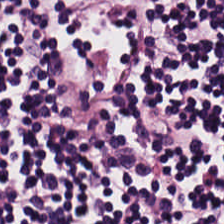224×224 px patch. H&E.
Impression — lymphoid infiltrate.
